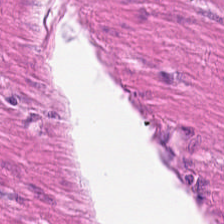Q: Classify this patch.
A: The field shows muscularis.
